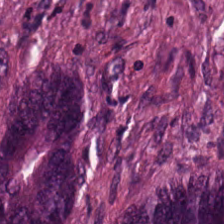Hematoxylin-and-eosin stained section; WSI patch; 224×224 px patch. The tissue here is colorectal adenocarcinoma epithelium.
